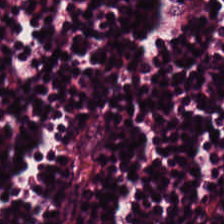Hematoxylin-and-eosin stained section. 224×224 pixel tile.
Showing lymphoid infiltrate.
